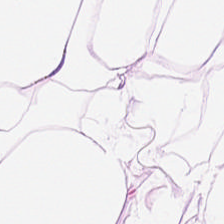H&E stain — The classification is adipose.
